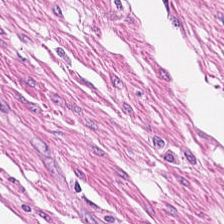0.5 µm/px. Brightfield. Hematoxylin and eosin — Showing muscularis.
